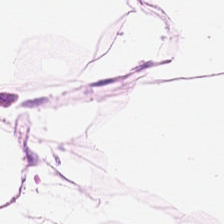Hematoxylin-and-eosin stained section · 0.5 µm per pixel.
Q: What does this patch show?
A: It is fat tissue.
